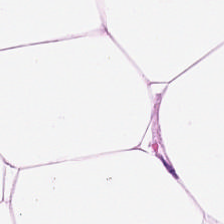FFPE tissue section · H&E stain.
Predominantly adipocytes.
